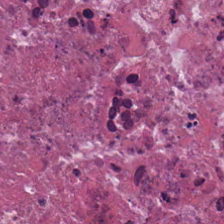Stain: hematoxylin and eosin.
Tissue class: necrotic debris.
